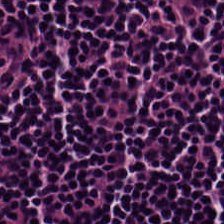H&E-stained tissue section.
The tissue class is lymphocytic infiltrate.
